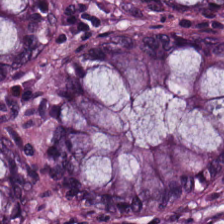Histology — non-neoplastic colon mucosa.
